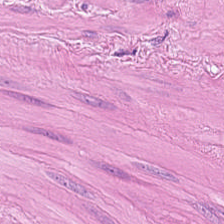FFPE; 224×224 pixel tile; H&E stain.
This patch shows smooth-muscle tissue.
